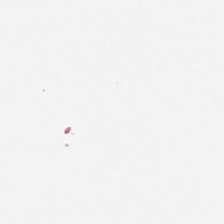H&E.
The classification is no tissue.
